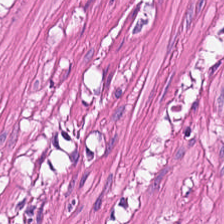H&E-stained tissue section · brightfield microscopy.
Histology → smooth muscle.
